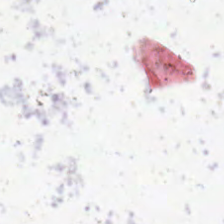H&E.
Q: What is shown here?
A: This is no tissue.
